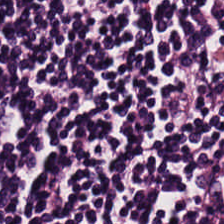224×224 px patch; H&E.
Predominantly lymphocytes.
